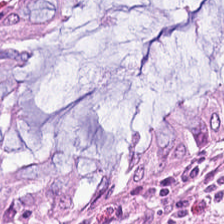WSI patch. H&E-stained tissue section. Q: What is shown in this field?
A: Normal colonic mucosa.
